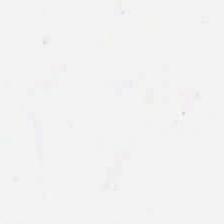Hematoxylin and eosin. Whole-slide-image patch. Formalin-fixed paraffin-embedded section — Empty background.
